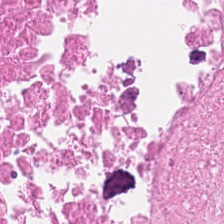Hematoxylin and eosin.
Predominant tissue — necrotic debris.
